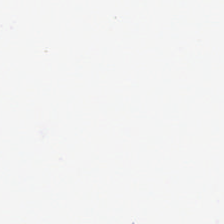Hematoxylin-and-eosin stained section.
Q: What is shown in this field?
A: This is no tissue.
